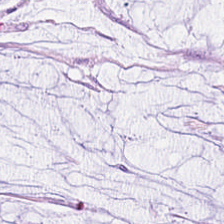20× equivalent magnification; H&E-stained tissue section.
Showing mucus.
